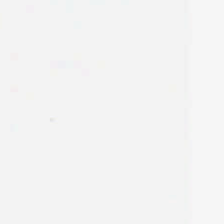Impression → no tissue.
